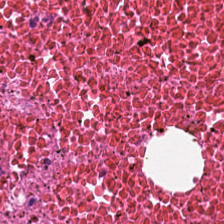Showing cellular debris.
